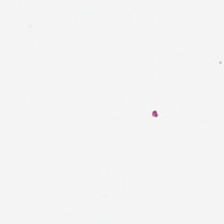H&E-stained tissue section. Empty field — empty background.
